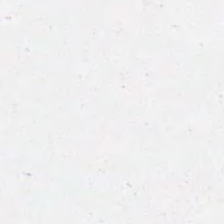Hematoxylin and eosin; 224×224 pixel tile.
Field content: background.
